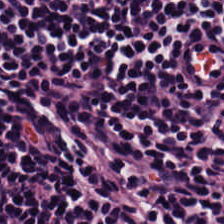Hematoxylin and eosin. {"tissue_type": "lymphocytic infiltrate"}
